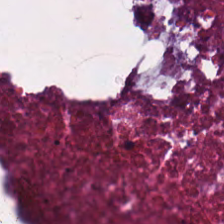Stain: H&E.
Predominant tissue: debris.
